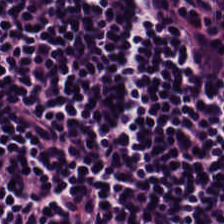H&E — Tissue type — lymphocytes.
